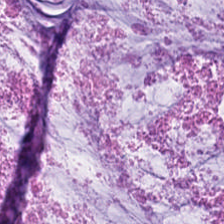Hematoxylin and eosin. FFPE — Predominant tissue: extracellular mucin.
